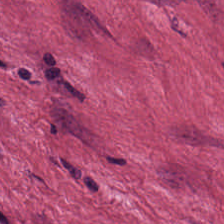Hematoxylin and eosin; brightfield.
Q: What tissue is shown?
A: It is cancer-associated stroma.
